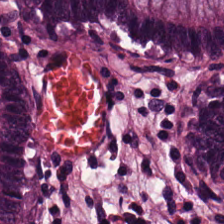FFPE tissue section · 0.5 microns per pixel · H&E-stained tissue section. The tissue here is normal colon mucosa.
